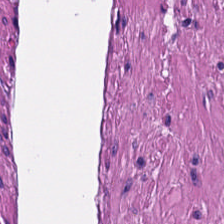H&E-stained tissue section. Predominantly smooth-muscle tissue.
